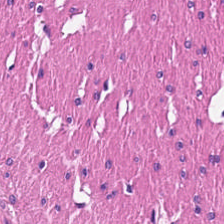H&E patch showing smooth-muscle tissue.
